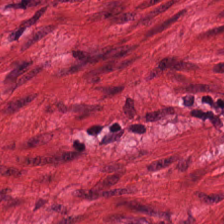Hematoxylin-and-eosin stained section · 224×224 px patch — The predominant tissue is muscularis.
